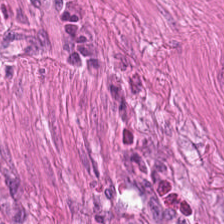224×224 pixel tile; hematoxylin-and-eosin stained section; 0.5 µm/px. Predominant tissue: smooth-muscle tissue.
